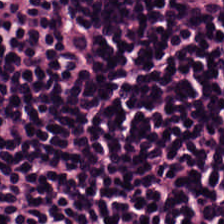Formalin-fixed paraffin-embedded section. Whole-slide-image patch. H&E.
The tissue here is lymphocytic infiltrate.
